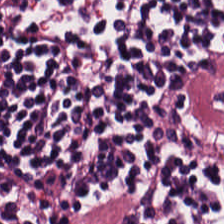H&E.
The tissue here is lymphocytic infiltrate.
